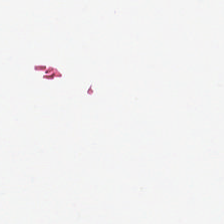Stain: H&E.
Tile size: 224×224 pixel tile.
Field content: background (no tissue).
